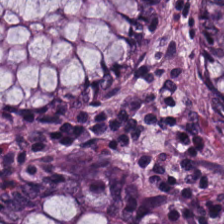FFPE · H&E stain. Q: What type of tissue is this?
A: Normal colon mucosa.
